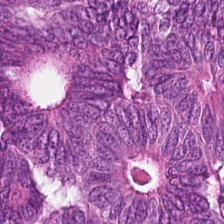Stain: H&E-stained tissue section.
Tile size: 224×224 pixel tile.
Tissue type: colorectal adenocarcinoma.
